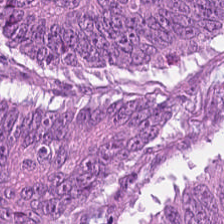Stain: H&E-stained tissue section.
Tile size: 224×224 px tile.
Tissue type: colorectal adenocarcinoma.
